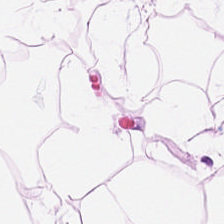Whole-slide-image patch. H&E-stained tissue section — Showing fat tissue.
